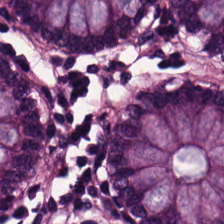Whole-slide-image patch. H&E. Q: Classify this patch.
A: Non-neoplastic colon mucosa.
